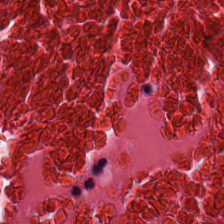224×224 px tile · H&E-stained tissue section.
Predominantly debris.
